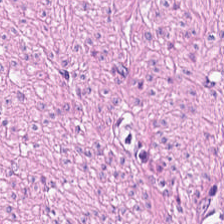H&E. 0.5 µm/px. FFPE tissue section.
Impression → smooth muscle.
